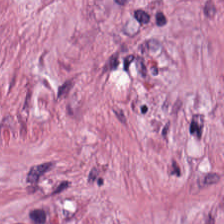Histology — cancer-associated stroma.
